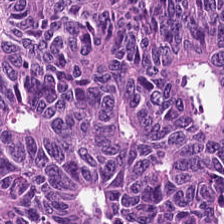Stain: H&E-stained tissue section.
Tissue: malignant epithelium.
